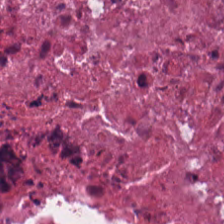{"tissue_type": "necrotic debris"}
